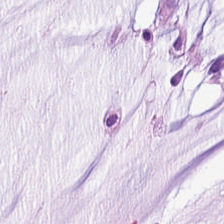224×224 pixel tile; H&E stain.
This field is mucus.
